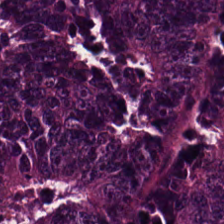Stain: H&E-stained tissue section.
Predominant tissue: colorectal adenocarcinoma.
